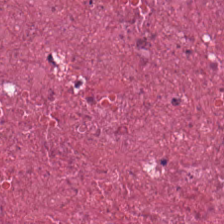Hematoxylin-and-eosin stained section.
The tissue here is debris.
